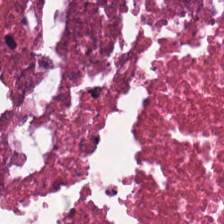Finding → necrotic debris.
